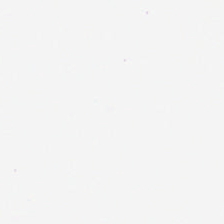FFPE. H&E-stained tissue section. 0.5 µm per pixel — Finding — no tissue.
